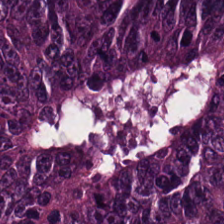Hematoxylin-and-eosin stained section — Predominantly colorectal adenocarcinoma epithelium.
